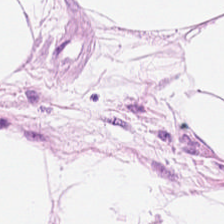Hematoxylin and eosin; 224×224 pixel tile.
Classification: adipose tissue.
